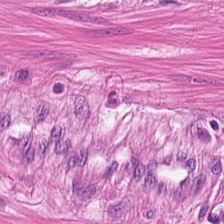H&E.
Tissue type: smooth-muscle tissue.
